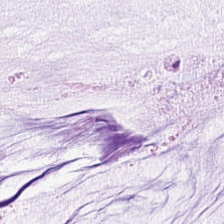Brightfield microscopy; H&E-stained tissue section; FFPE tissue section — The predominant tissue is extracellular mucin.
